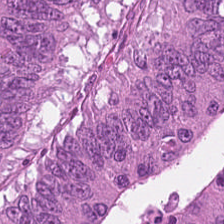Classification — colorectal adenocarcinoma.
